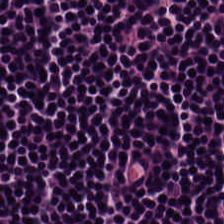Stain: H&E.
Tissue class: lymphocytes.
